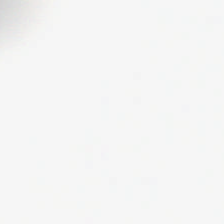H&E-stained tissue section — Q: What is shown here?
A: This is no tissue.
